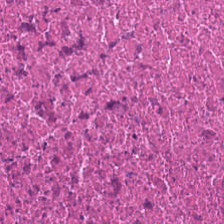H&E · 0.5 µm per pixel — Showing debris.
